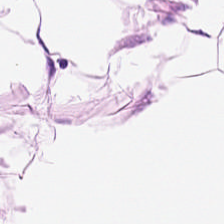Q: What tissue type is shown here?
A: Adipose tissue.
